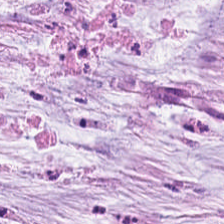H&E-stained tissue section showing mucin.
